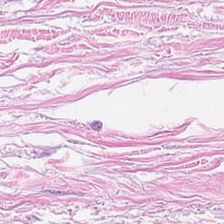Q: What tissue type is shown here?
A: It is desmoplastic stroma.
